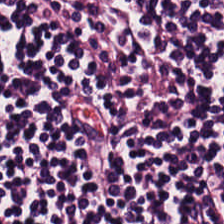20× equivalent magnification · brightfield · hematoxylin and eosin. Impression — lymphoid infiltrate.
